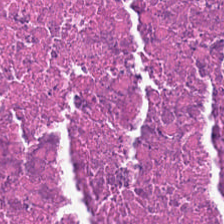Stain: H&E stain.
Acquisition: WSI patch.
Tissue type: cellular debris.
